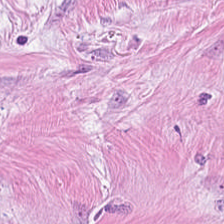Hematoxylin and eosin.
Cancer-associated stroma.
